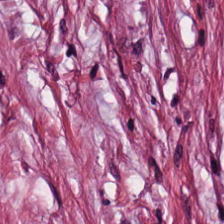H&E stain · 224×224 px patch.
Q: What is shown here?
A: This is tumor stroma.
